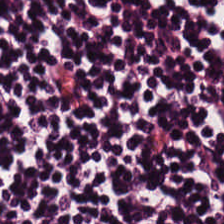Whole-slide-image patch. FFPE tissue section. H&E stain — Showing lymphocytic infiltrate.
